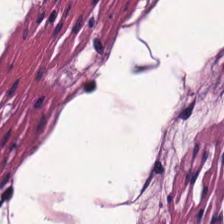Tissue = smooth muscle.
